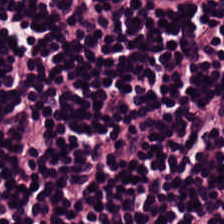Hematoxylin-and-eosin stained section.
Histology — lymphoid infiltrate.
